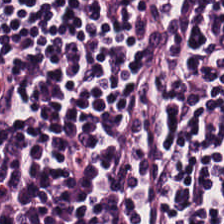H&E — Tissue class = lymphocytes.
